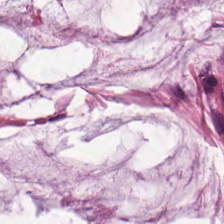The tissue is mucus.
